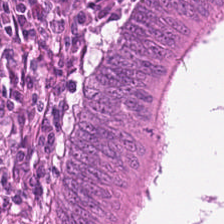FFPE tissue section · H&E.
The tissue class is malignant epithelium.
